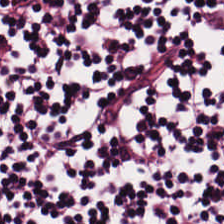Stain: hematoxylin and eosin.
Tile size: 224×224 px patch.
Resolution: 0.5 µm/px.
Predominant tissue: lymphocyte aggregate.
